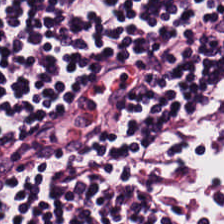Brightfield microscopy · hematoxylin-and-eosin stained section.
Lymphoid infiltrate.
